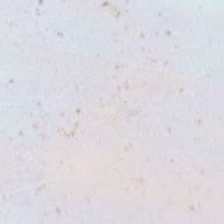Hematoxylin-and-eosin stained section — Histology → background.
